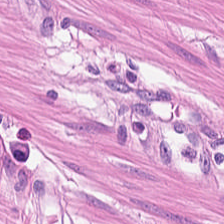H&E-stained tissue section — Predominantly muscularis.
